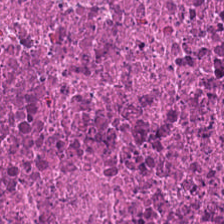H&E stain · 0.5 microns per pixel. Q: What is shown here?
A: This is debris.
